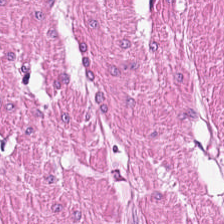H&E.
Q: What is shown in this field?
A: This is smooth-muscle tissue.
